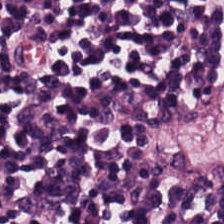Hematoxylin-and-eosin stained section. Formalin-fixed paraffin-embedded section. Predominantly lymphocytic infiltrate.
